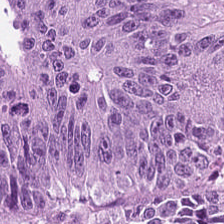H&E-stained tissue section — Q: What is the predominant tissue type?
A: Adenocarcinoma.
